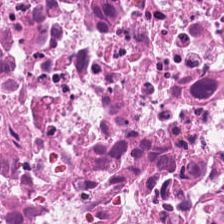Stain: hematoxylin and eosin.
Tile size: 224×224 px tile.
Resolution: 20× equivalent magnification.
Predominant tissue: debris.
